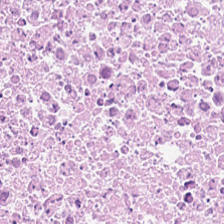H&E-stained tissue section.
Finding — necrotic debris.
